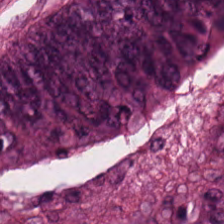Brightfield · hematoxylin-and-eosin stained section.
Q: What is the predominant tissue type?
A: It is mucus.
